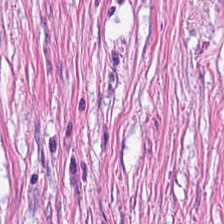H&E — Q: What does this patch show?
A: The field shows cancer-associated stroma.
